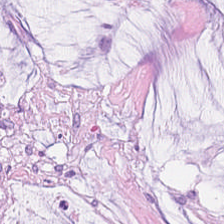Whole-slide-image patch; hematoxylin and eosin.
Tissue class: mucus.
